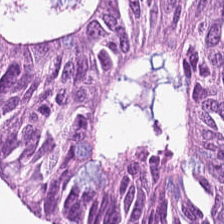Whole-slide-image patch · H&E-stained tissue section — This field is colorectal adenocarcinoma.
